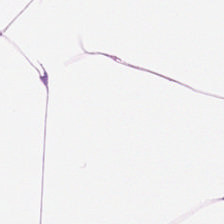Hematoxylin and eosin. Q: Identify the tissue.
A: This is adipose tissue.
